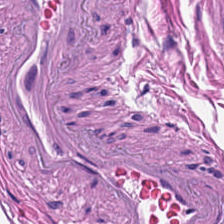Tissue class: smooth muscle.
